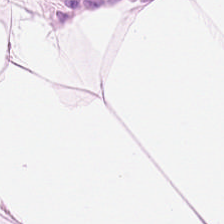WSI patch; H&E stain; FFPE tissue section — Q: What is shown here?
A: It is adipose tissue.
